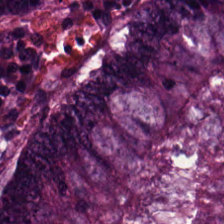H&E stain. Finding → colorectal adenocarcinoma.
